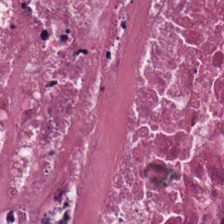Brightfield · H&E.
{"tissue_type": "cellular debris"}
